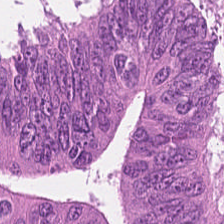Q: What is shown here?
A: It is malignant epithelium.
